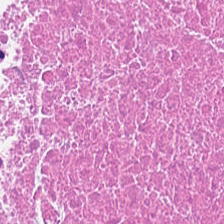H&E stain — Q: What is shown in this field?
A: This is debris.
